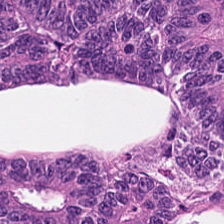H&E-stained tissue section. 0.5 µm/px.
Q: What does this patch show?
A: This is tumor epithelium.
